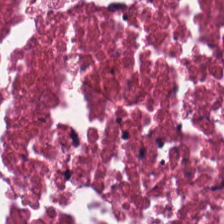Hematoxylin-and-eosin stained section.
The tissue here is necrotic debris.
